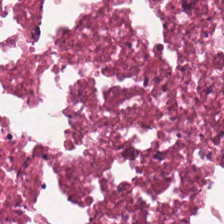Hematoxylin and eosin.
This patch shows debris.
